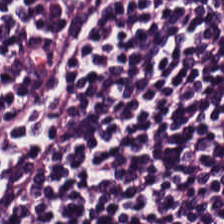The tissue is lymphocyte aggregate.
